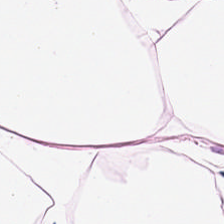224×224 pixel tile; hematoxylin-and-eosin stained section. This patch shows fat tissue.
